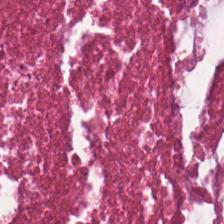H&E-stained tissue section · FFPE tissue section — Predominantly debris.
